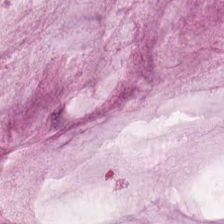FFPE · H&E stain. Tissue type — mucus.
